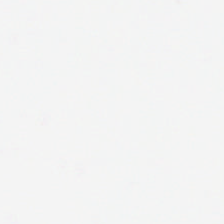H&E. This field is background (no tissue).
